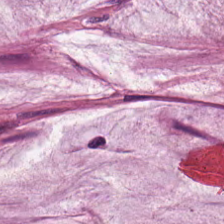0.5 µm per pixel; H&E-stained tissue section.
Q: What does this patch show?
A: The field shows extracellular mucin.
